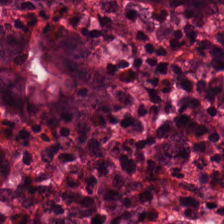H&E. Predominant tissue = normal colonic mucosa.
